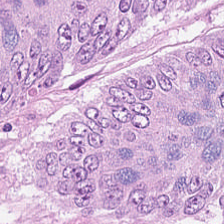H&E patch showing tumor epithelium.
